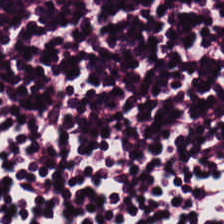Hematoxylin-and-eosin stained section — Tissue = lymphoid infiltrate.
